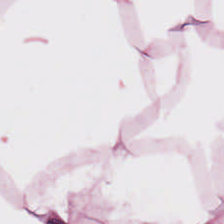H&E-stained tissue section.
This field is adipocytes.
